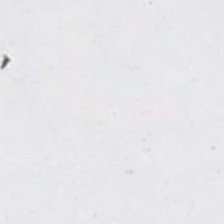Classification = empty background.
